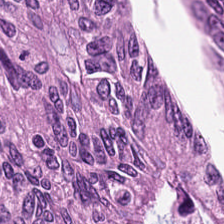224×224 px tile. Hematoxylin-and-eosin stained section. 0.5 µm/px. Tissue: tumor epithelium.
